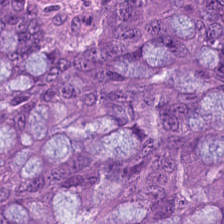Brightfield · H&E-stained tissue section · 20× equivalent magnification — This field is colorectal adenocarcinoma epithelium.
